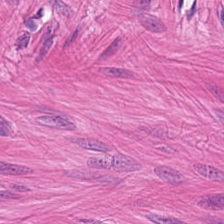Hematoxylin and eosin. Showing smooth-muscle tissue.
